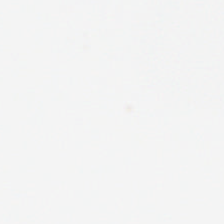Q: Classify this patch.
A: The field shows no tissue.
